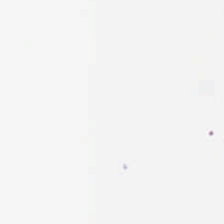Q: What is shown in this field?
A: It is empty background.
